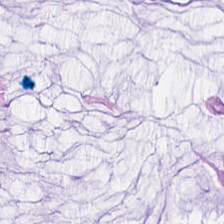H&E-stained tissue section — This patch shows mucus.
